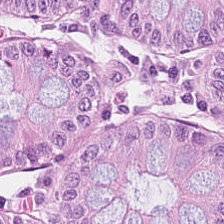Normal colonic mucosa.
